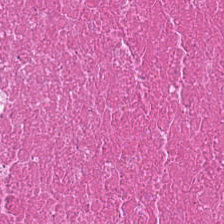Stain: hematoxylin-and-eosin stained section.
Tile size: 224×224 pixel tile.
Tissue class: cellular debris.
